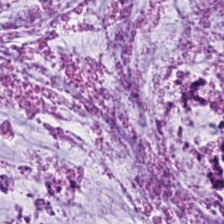Stain: hematoxylin-and-eosin stained section.
Resolution: 20× equivalent magnification.
Tissue: mucus.
